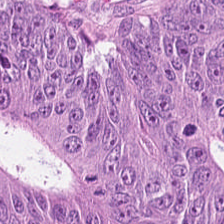WSI patch. Hematoxylin-and-eosin stained section. 224×224 px tile. The predominant tissue is tumor epithelium.
